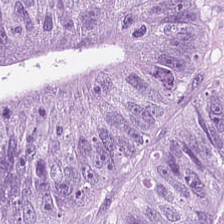Showing malignant epithelium.
